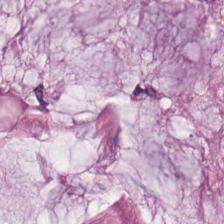Q: What is shown in this field?
A: It is extracellular mucin.
